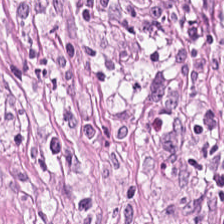Hematoxylin-and-eosin stained section; 224×224 pixel tile.
Finding — desmoplastic stroma.
